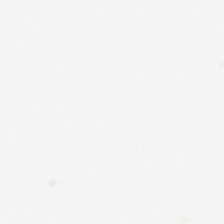Stain: H&E-stained tissue section.
Classification: background.
